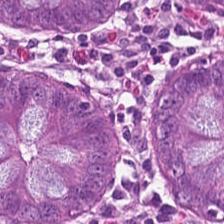H&E stain · whole-slide-image patch · formalin-fixed paraffin-embedded section — Tissue type = non-neoplastic colon mucosa.
